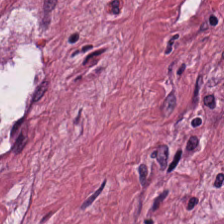Hematoxylin and eosin; formalin-fixed paraffin-embedded section — Tissue type = tumor-associated stroma.
